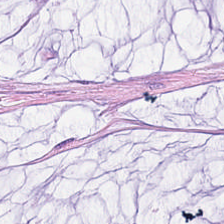Hematoxylin and eosin. Tissue: extracellular mucin.
